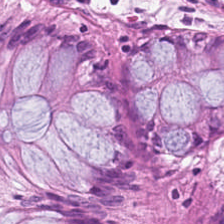H&E patch showing normal colon mucosa.
